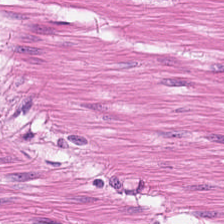H&E stain. FFPE.
Q: What is the predominant tissue type?
A: It is smooth muscle.
